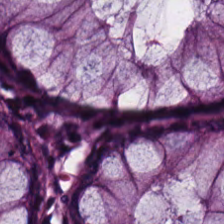Stain: hematoxylin-and-eosin stained section.
Tissue: benign colonic mucosa.
